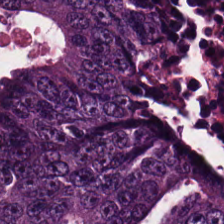Stain: H&E stain.
Classification: colorectal adenocarcinoma.
